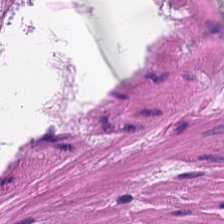Hematoxylin-and-eosin stained section. 224×224 px patch. FFPE.
Showing smooth-muscle tissue.
